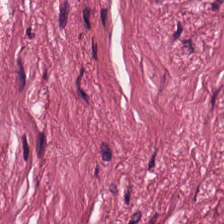224×224 pixel tile; hematoxylin and eosin. Impression — desmoplastic stroma.
